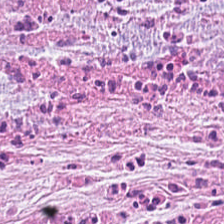224×224 px tile; H&E stain. This patch shows cancer-associated stroma.
